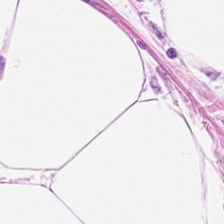Predominantly adipose.
